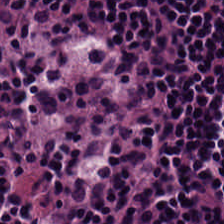Stain: H&E.
Preparation: FFPE.
Tissue: lymphocyte aggregate.
